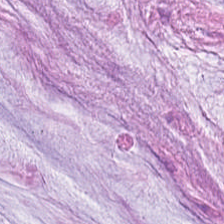Stain: hematoxylin-and-eosin stained section.
Tissue class: extracellular mucin.
